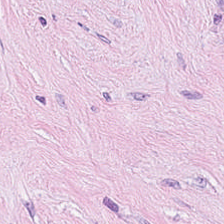Hematoxylin-and-eosin stained section · brightfield microscopy — Q: What is shown here?
A: The field shows desmoplastic stroma.
